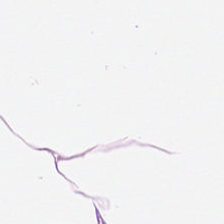Stain: H&E-stained tissue section.
Tissue type: fat tissue.
